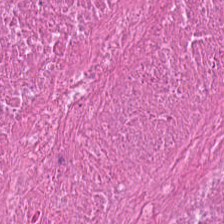Hematoxylin-and-eosin stained section — The classification is cellular debris.
